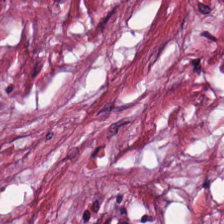Hematoxylin and eosin. Finding → tumor stroma.
